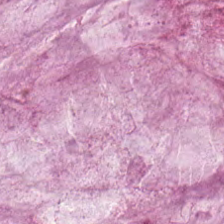Q: What tissue is shown?
A: This is mucin.
